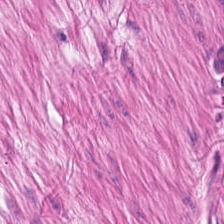H&E stain.
This patch shows smooth muscle.
